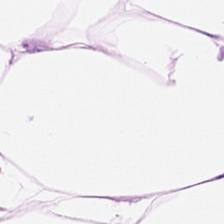Hematoxylin and eosin — Q: What is shown here?
A: Fat tissue.
